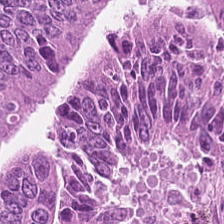Tumor epithelium.
